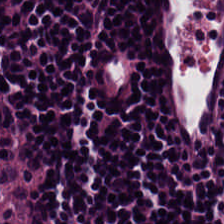H&E-stained tissue section. Q: What tissue type is shown here?
A: It is lymphoid infiltrate.
